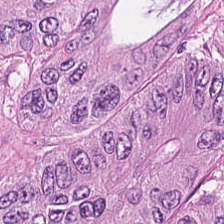H&E patch showing adenocarcinoma.
